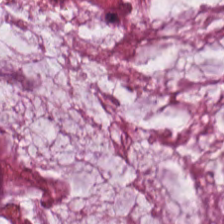Stain: hematoxylin and eosin.
Classification: mucin.
